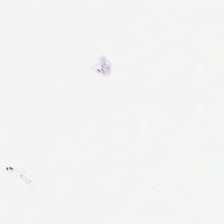224×224 pixel tile. Hematoxylin and eosin.
Background — no tissue in this field.
